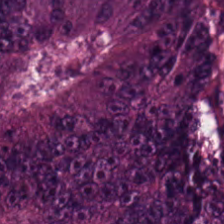Tissue class — colorectal adenocarcinoma epithelium.
